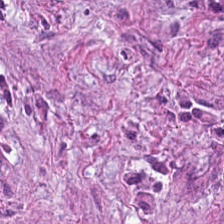Showing desmoplastic stroma.
